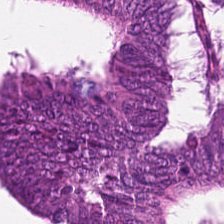H&E stain; 224×224 pixel tile. The tissue type is tumor epithelium.
